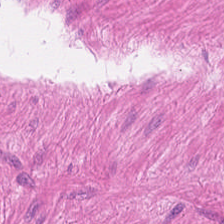Tissue: muscularis.
